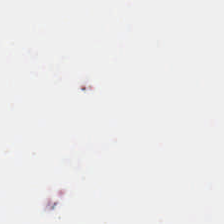Hematoxylin and eosin — This patch shows empty background.
